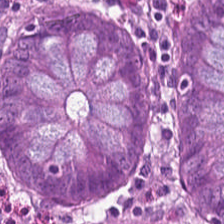{"tissue_type": "non-neoplastic colon mucosa"}
